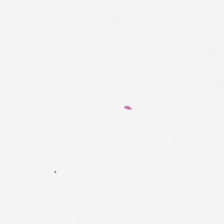The classification is background.
